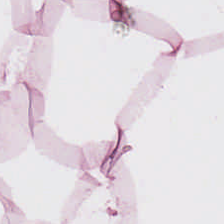Q: Classify this patch.
A: Adipose.
